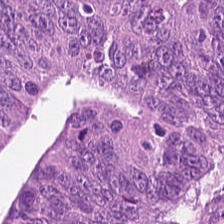H&E-stained tissue section; 20× equivalent magnification — Histology — tumor epithelium.
